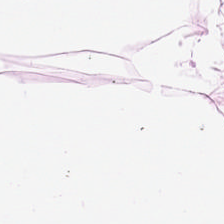Hematoxylin and eosin.
This patch shows adipose.
